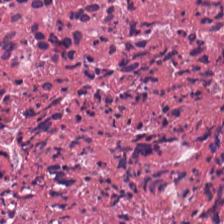H&E-stained tissue section; WSI patch — This field is necrotic debris.
